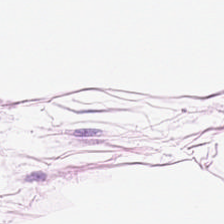The tissue here is adipose.
